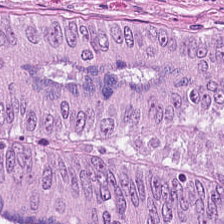Hematoxylin and eosin. 0.5 microns per pixel.
Showing colorectal adenocarcinoma.
